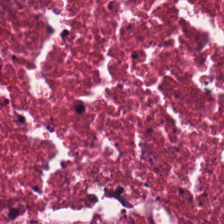Cellular debris.
